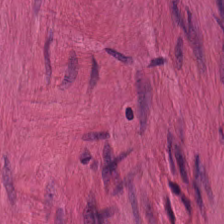Hematoxylin-and-eosin stained section · brightfield.
{"tissue_type": "smooth-muscle tissue"}
